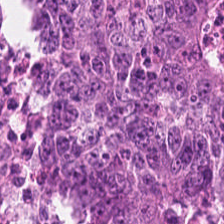This patch shows colorectal adenocarcinoma.
